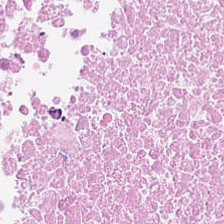H&E — This patch shows necrotic debris.
